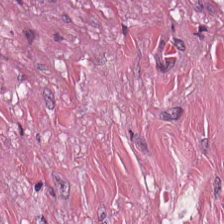Hematoxylin and eosin — Showing tumor-associated stroma.
